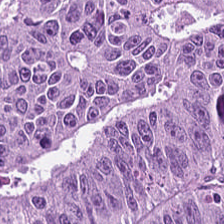20× equivalent magnification · hematoxylin-and-eosin stained section — Tissue type = tumor epithelium.
